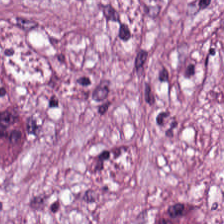H&E stain; 0.5 µm per pixel. This field is tumor stroma.
